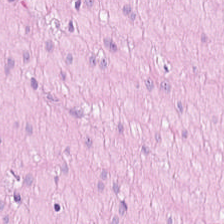Q: What is shown here?
A: It is smooth-muscle tissue.
